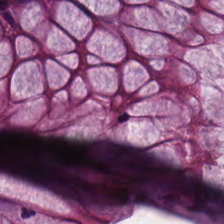The predominant tissue is normal colon mucosa.
